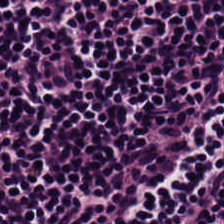H&E-stained tissue section — Impression → lymphocyte aggregate.
